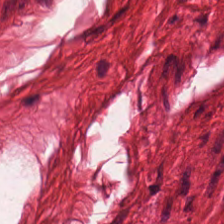H&E — Q: What type of tissue is this?
A: Muscularis.
